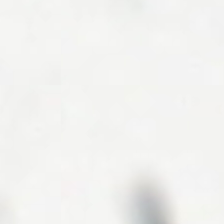FFPE. 20× equivalent magnification. Hematoxylin-and-eosin stained section — This field is background (no tissue).
